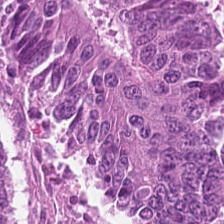Stain: H&E-stained tissue section.
Tissue class: tumor epithelium.
